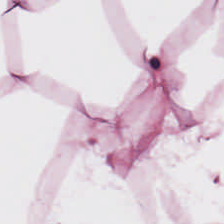Stain: hematoxylin-and-eosin stained section.
Tissue class: adipose tissue.
